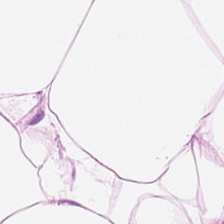Formalin-fixed paraffin-embedded section; H&E-stained tissue section — Q: What is shown in this field?
A: The field shows adipocytes.
